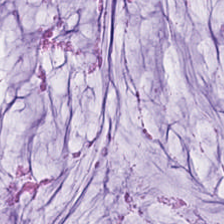Tissue = extracellular mucin.
